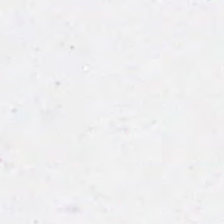Hematoxylin and eosin. Q: What is shown here?
A: Background.
